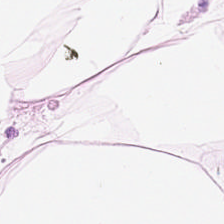Formalin-fixed paraffin-embedded section; H&E-stained tissue section. This patch shows adipose tissue.
